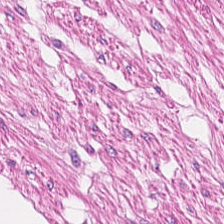Hematoxylin-and-eosin stained section. 224×224 px tile. Formalin-fixed paraffin-embedded section. Tissue type — smooth-muscle tissue.
